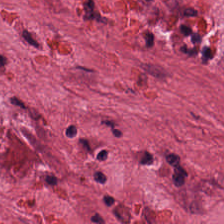H&E-stained tissue section. The tissue type is tumor stroma.
